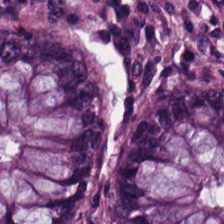Hematoxylin-and-eosin stained section — {"tissue_type": "benign colonic mucosa"}
